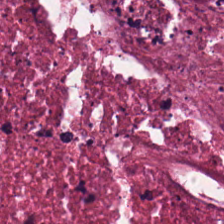H&E-stained section; the field shows cellular debris.
